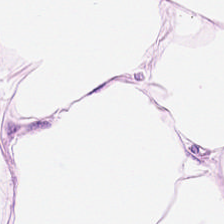This patch shows adipocytes.
